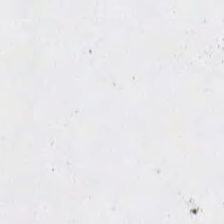Stain: H&E.
Acquisition: whole-slide-image patch.
Content: background (no tissue).
